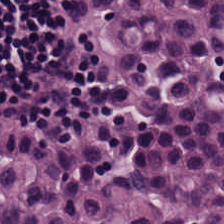H&E-stained section; the field shows lymphocytic infiltrate.
